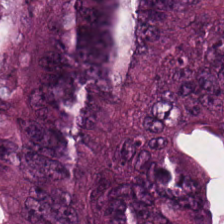FFPE · H&E · 224×224 px tile. Predominantly adenocarcinoma.
